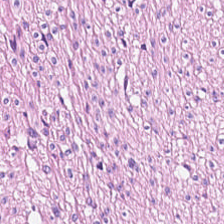H&E-stained tissue section. Q: What type of tissue is this?
A: This is smooth muscle.
